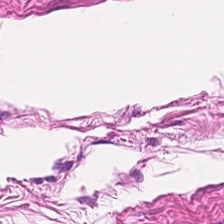H&E. Q: What is shown in this field?
A: Smooth-muscle tissue.
